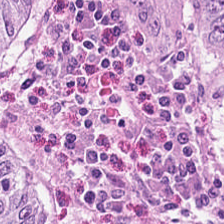Hematoxylin-and-eosin stained section. 224×224 px patch.
Histology → malignant epithelium.
